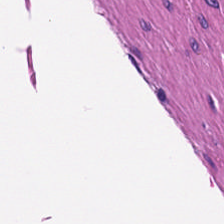H&E-stained tissue section.
Q: What is shown here?
A: The field shows smooth-muscle tissue.
